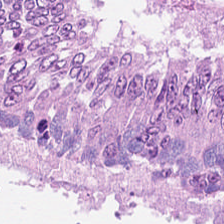H&E stain.
Classification: colorectal adenocarcinoma.
